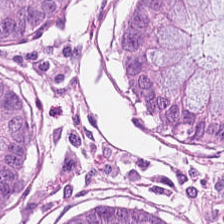Stain: hematoxylin and eosin.
Classification: normal colon mucosa.
